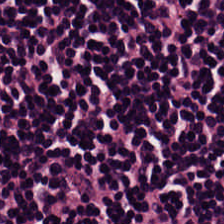H&E-stained tissue section.
Finding → lymphoid infiltrate.
